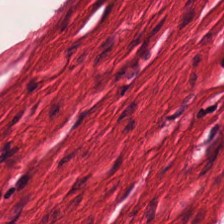Stain: H&E.
Tissue: smooth muscle.
